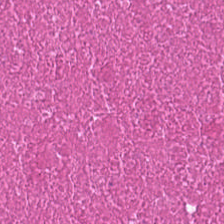H&E-stained tissue section — Predominant tissue — necrotic debris.
